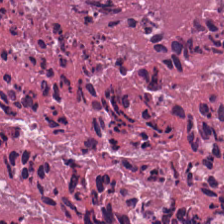FFPE · H&E-stained tissue section. Cellular debris.
